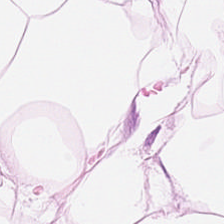H&E stain; FFPE tissue section — Showing adipose.
